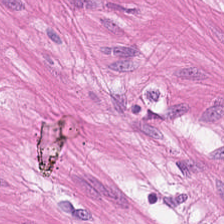H&E stain; 224×224 px patch; brightfield microscopy — Smooth muscle.
